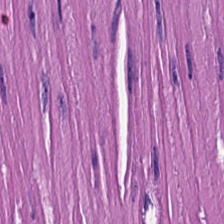Hematoxylin-and-eosin stained section.
Q: What does this patch show?
A: This is smooth-muscle tissue.
